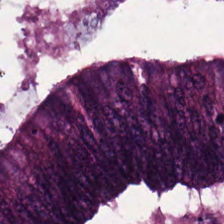Histology → colorectal adenocarcinoma epithelium.
